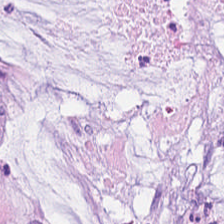Predominant tissue = mucus.
